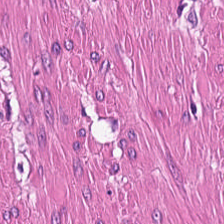Hematoxylin-and-eosin stained section — Impression — smooth-muscle tissue.
